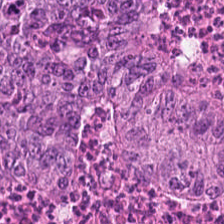H&E-stained tissue section.
Predominant tissue — adenocarcinoma.
